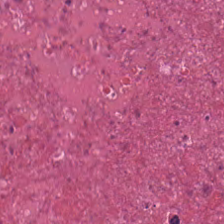H&E. WSI patch.
Q: What is the predominant tissue type?
A: Necrotic debris.
